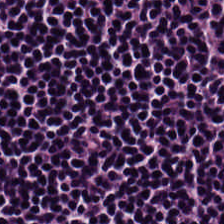Brightfield microscopy; hematoxylin-and-eosin stained section — Q: What is shown here?
A: The field shows lymphocytic infiltrate.
